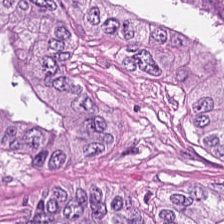The predominant tissue is malignant epithelium.
